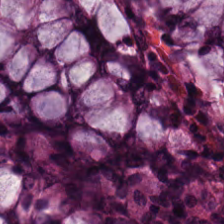H&E-stained tissue section. This patch shows normal colon mucosa.
